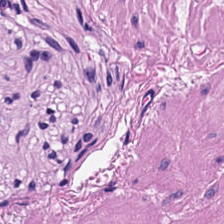Hematoxylin-and-eosin stained section. Tissue type — muscularis.
